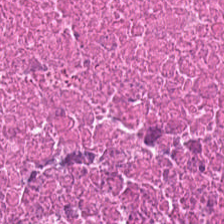Classification = necrotic debris.
